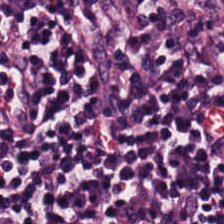H&E.
Impression → lymphoid infiltrate.
